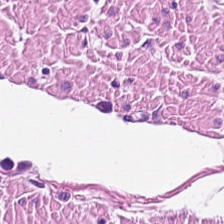Formalin-fixed paraffin-embedded section; H&E; 0.5 microns per pixel.
Q: What is shown in this field?
A: This is muscularis.
